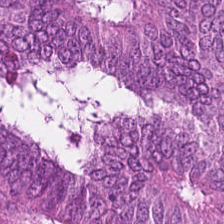Hematoxylin-and-eosin section: colorectal adenocarcinoma epithelium.
